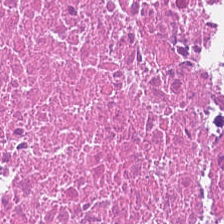Hematoxylin and eosin. Formalin-fixed paraffin-embedded section — Cellular debris.
